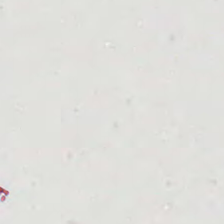Hematoxylin-and-eosin stained section. Content: background.
